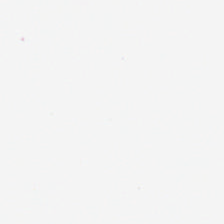H&E stain · WSI patch. Background.
